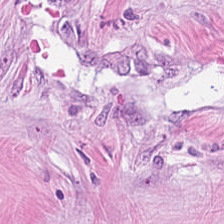224×224 pixel tile · hematoxylin and eosin · brightfield — Classification = cancer-associated stroma.
